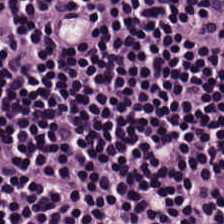H&E-stained tissue section. Q: What is the predominant tissue type?
A: The field shows lymphoid infiltrate.
